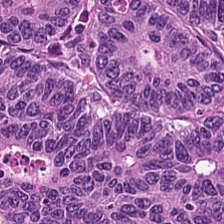Formalin-fixed paraffin-embedded section. H&E. WSI patch. This field is adenocarcinoma.
